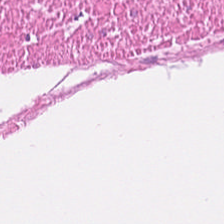Showing smooth-muscle tissue.
